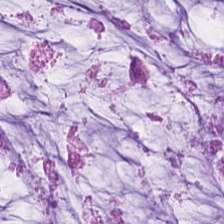Hematoxylin-and-eosin stained section. Q: What is shown in this field?
A: This is extracellular mucin.
